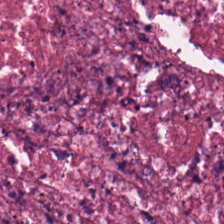Hematoxylin-and-eosin stained section.
The predominant tissue is cellular debris.
